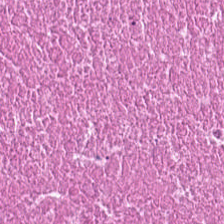H&E. Brightfield microscopy. FFPE.
Tissue: cellular debris.
